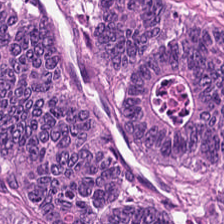H&E-stained tissue section. Formalin-fixed paraffin-embedded section.
{"tissue_type": "tumor epithelium"}
